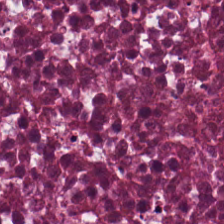Stain: H&E-stained tissue section.
Tissue class: cellular debris.
